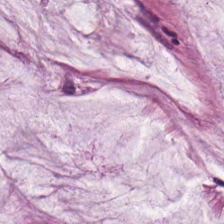Histology — mucin.
